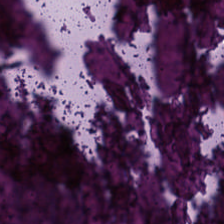Q: What tissue type is shown here?
A: It is cellular debris.
